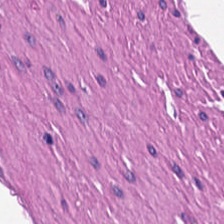H&E stain.
Tissue: smooth muscle.
